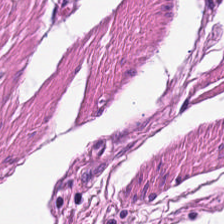Hematoxylin-and-eosin stained section. Finding → muscularis.
